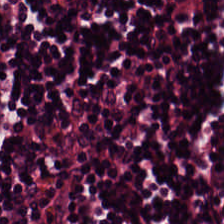Q: What tissue is shown?
A: The field shows lymphocytic infiltrate.
